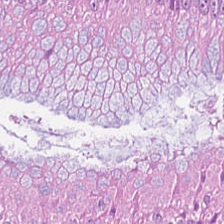FFPE tissue section · H&E stain — {"tissue_type": "adenocarcinoma"}
